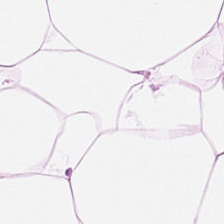H&E-stained section; the field shows fat tissue.
